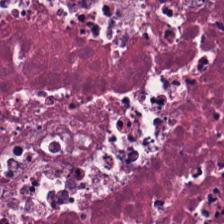H&E-stained tissue section; 224×224 px tile. Tissue class — debris.
